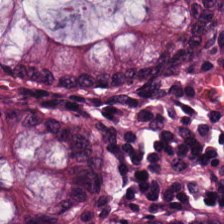H&E-stained section; the field shows normal colonic mucosa.
